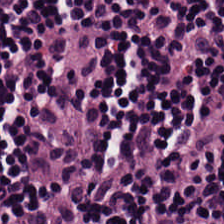H&E stain — This patch shows lymphocyte aggregate.
